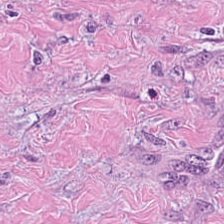H&E.
Tumor stroma.
